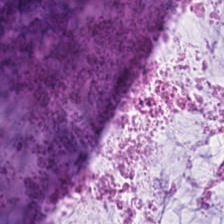Stain: H&E-stained tissue section.
Classification: mucin.
